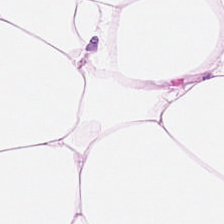H&E-stained tissue section.
Predominant tissue — adipose tissue.
